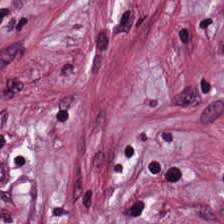Formalin-fixed paraffin-embedded section; 224×224 pixel tile; H&E stain.
{"tissue_type": "tumor stroma"}
